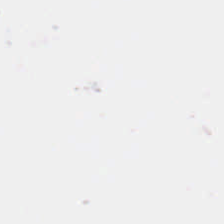H&E stain; 0.5 µm/px.
The classification is no tissue.
